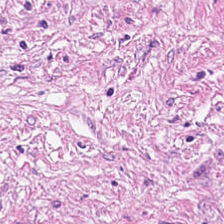H&E-stained tissue section. 0.5 µm/px. 224×224 px patch — The classification is cancer-associated stroma.
